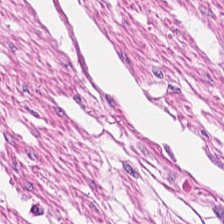Stain: H&E.
Acquisition: whole-slide-image patch.
Preparation: formalin-fixed paraffin-embedded section.
Tissue class: muscularis.
